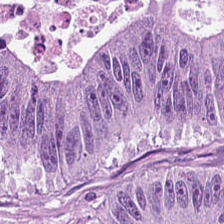WSI patch. Hematoxylin and eosin — Histology → malignant epithelium.
